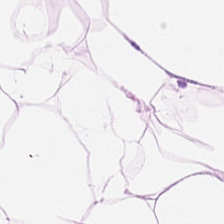Q: What is shown here?
A: Fat tissue.
